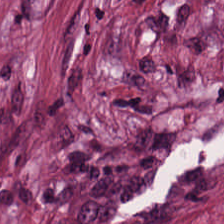Hematoxylin and eosin — Tumor stroma.
